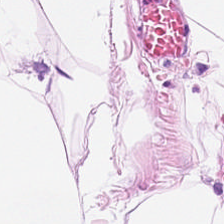H&E stain — The classification is adipose.
